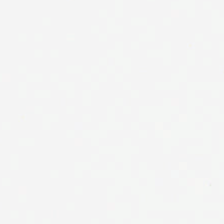Formalin-fixed paraffin-embedded section. Brightfield. H&E-stained tissue section — Impression → empty background.
